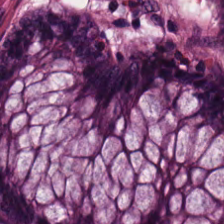Hematoxylin and eosin.
Impression — normal colon mucosa.
